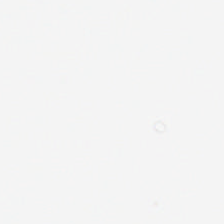Hematoxylin-and-eosin stained section · whole-slide-image patch — The field content is background.
